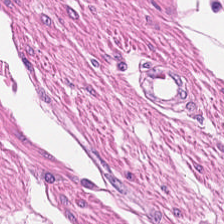H&E stain — Smooth muscle.
